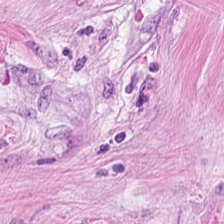H&E-stained tissue section; brightfield; formalin-fixed paraffin-embedded section.
Impression → tumor-associated stroma.
